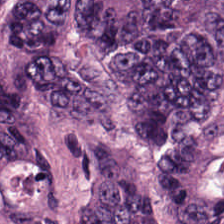Hematoxylin and eosin.
Predominantly colorectal adenocarcinoma epithelium.
